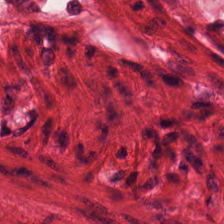Predominant tissue: smooth-muscle tissue.
